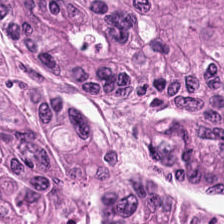Hematoxylin and eosin. Formalin-fixed paraffin-embedded section.
Tissue type = malignant epithelium.
